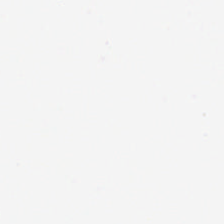H&E; 0.5 µm per pixel; brightfield microscopy — Q: What is shown in this field?
A: It is no tissue.
